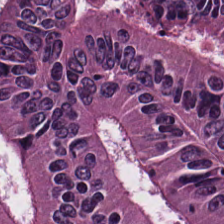H&E-stained tissue section.
Q: What tissue is shown?
A: This is tumor epithelium.
